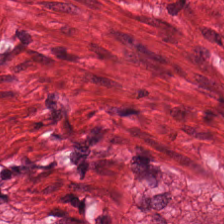H&E-stained tissue section.
{"tissue_type": "muscularis"}
